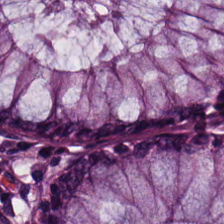Predominantly normal colon mucosa.
